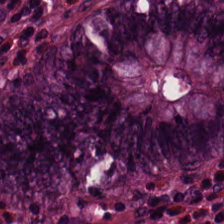Stain: hematoxylin-and-eosin stained section.
Tile size: 224×224 px tile.
Tissue class: normal colonic mucosa.
